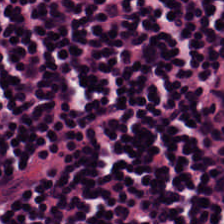H&E stain · 224×224 px tile.
Q: What tissue is shown?
A: Lymphocyte aggregate.
